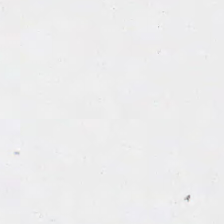H&E-stained tissue section; 224×224 px patch. Empty background.
